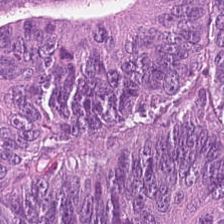Hematoxylin and eosin. Colorectal adenocarcinoma epithelium.
